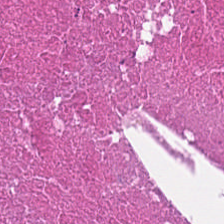H&E-stained tissue section. FFPE tissue section. Finding — cellular debris.
